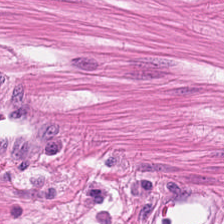Stain: hematoxylin and eosin.
Classification: smooth muscle.
